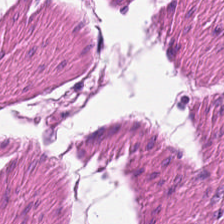H&E — Q: What is shown here?
A: This is smooth muscle.
